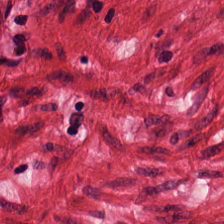Hematoxylin and eosin; FFPE.
Q: Classify this patch.
A: It is muscularis.
